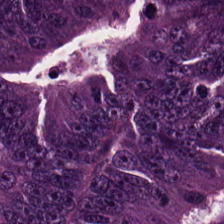Hematoxylin-and-eosin stained section — This patch shows adenocarcinoma.
